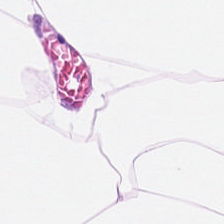Stain: hematoxylin-and-eosin stained section.
Preparation: FFPE.
Tissue type: adipose.
